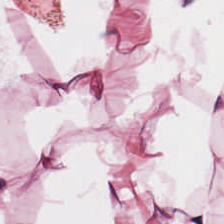Stain: H&E stain.
Predominant tissue: adipose tissue.
